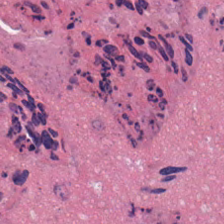H&E-stained tissue section · 224×224 px tile — Predominantly necrotic debris.
